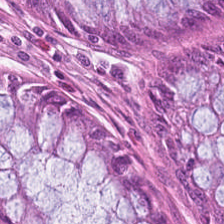Hematoxylin-and-eosin stained section · 224×224 pixel tile. This field is non-neoplastic colon mucosa.
